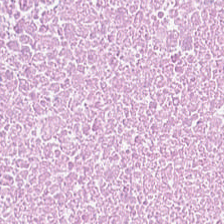Hematoxylin and eosin · formalin-fixed paraffin-embedded section — Predominantly cellular debris.
